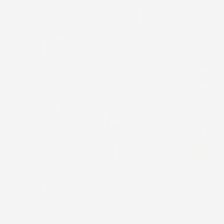Stain: hematoxylin and eosin.
Acquisition: brightfield microscopy.
Classification: background (no tissue).
